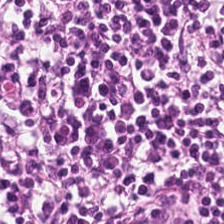Stain: H&E.
Tissue type: lymphocyte aggregate.
